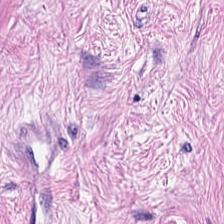H&E stain. Brightfield microscopy. The tissue is cancer-associated stroma.
